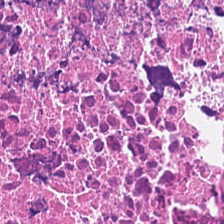The tissue is cellular debris.
